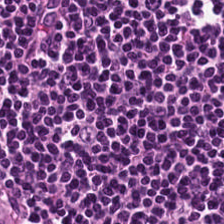0.5 microns per pixel; hematoxylin and eosin. Predominantly lymphocyte aggregate.
